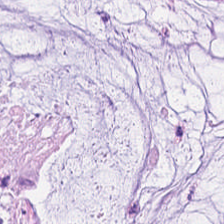0.5 µm/px; H&E. Predominantly mucin.
